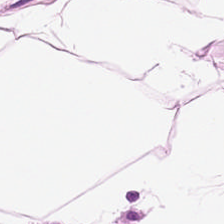Stain: hematoxylin and eosin.
Classification: fat tissue.
